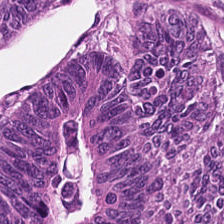Histology → tumor epithelium.
